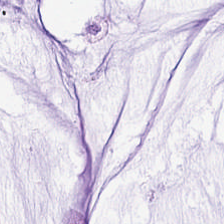Stain: hematoxylin-and-eosin stained section.
Resolution: 0.5 microns per pixel.
Predominant tissue: mucin.
